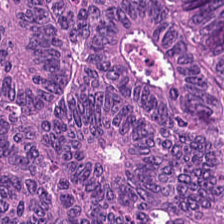H&E-stained tissue section; 224×224 pixel tile.
Impression → colorectal adenocarcinoma epithelium.
